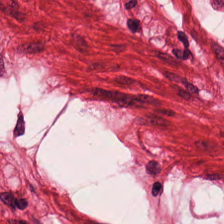Stain: H&E.
Tissue type: smooth-muscle tissue.
